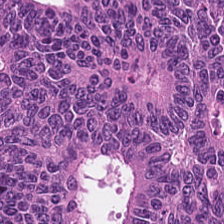The tissue here is colorectal adenocarcinoma.
